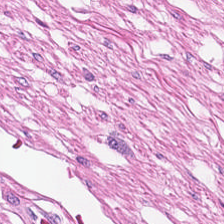Stain: H&E-stained tissue section.
Tissue: smooth-muscle tissue.
